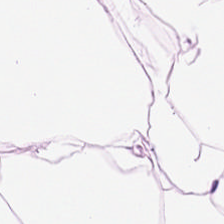Hematoxylin and eosin. Showing adipose tissue.
